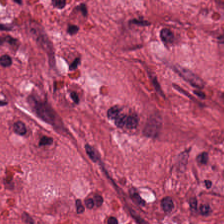H&E.
Tissue = desmoplastic stroma.
